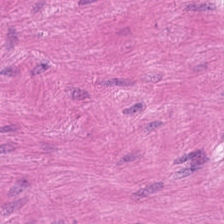Histology — smooth muscle.
